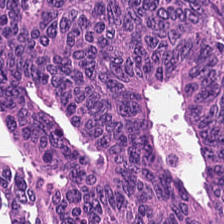H&E-stained tissue section; FFPE tissue section.
Predominant tissue — adenocarcinoma.
